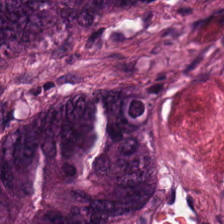224×224 px patch; H&E stain. This field is tumor epithelium.
